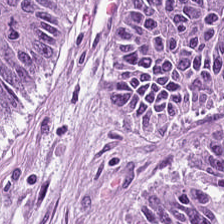H&E stain — Tissue type = adenocarcinoma.
